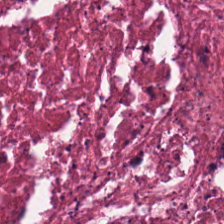H&E-stained tissue section.
Impression — necrotic debris.
